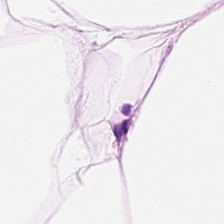Stain: H&E stain.
Tissue: adipose tissue.
